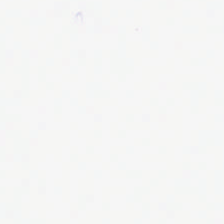FFPE. H&E stain. Background — no tissue in this field.
